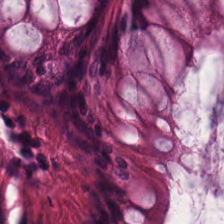Finding → non-neoplastic colon mucosa.
